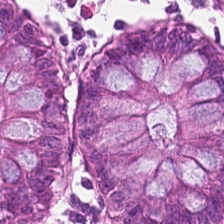Hematoxylin and eosin. 0.5 µm/px. Q: What type of tissue is this?
A: This is non-neoplastic colon mucosa.
